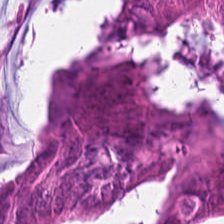Hematoxylin-and-eosin stained section · 0.5 µm/px · 224×224 px tile. The tissue here is adenocarcinoma.
